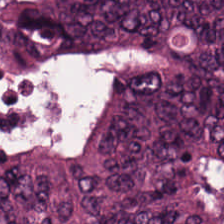Q: Identify the tissue.
A: Colorectal adenocarcinoma.
